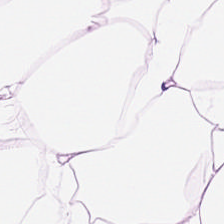224×224 px patch. H&E. Whole-slide-image patch. Predominantly adipocytes.
